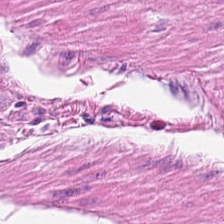Classification: smooth-muscle tissue.
